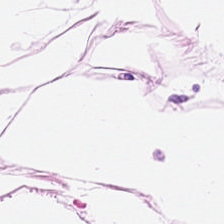FFPE · 0.5 microns per pixel · H&E stain.
The tissue type is adipocytes.
